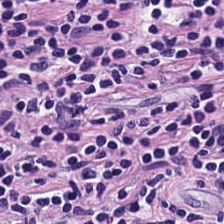H&E. 0.5 µm/px — Predominant tissue — lymphoid infiltrate.
